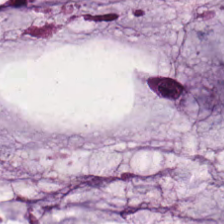Hematoxylin and eosin — Q: What tissue type is shown here?
A: The field shows mucus.
